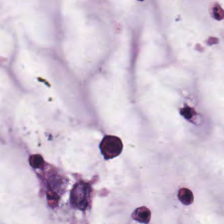H&E stain. Impression — mucus.
